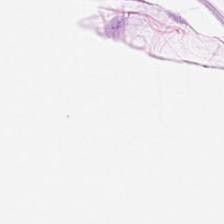Formalin-fixed paraffin-embedded section · hematoxylin and eosin · brightfield microscopy. Tissue — adipose.
